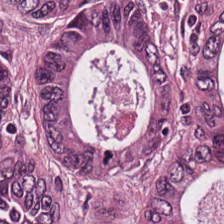Formalin-fixed paraffin-embedded section · H&E-stained tissue section — This field is tumor epithelium.
